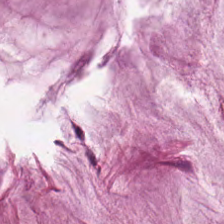Tissue class: mucus.
